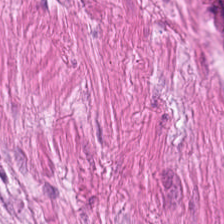H&E-stained tissue section · brightfield microscopy.
Smooth-muscle tissue.
